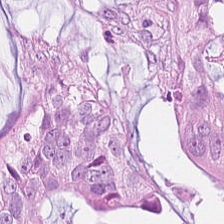Hematoxylin-and-eosin stained section; whole-slide-image patch — Tissue — tumor epithelium.
